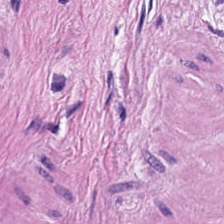Brightfield. Hematoxylin-and-eosin stained section. Q: What tissue type is shown here?
A: This is smooth muscle.
